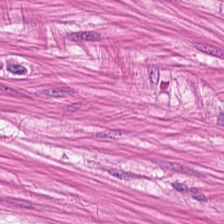H&E-stained tissue section. This field is muscularis.
